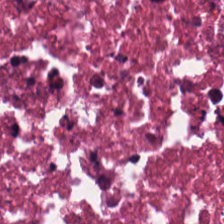Q: Identify the tissue.
A: The field shows debris.
